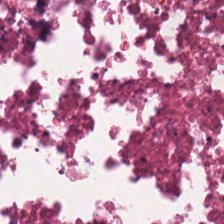224×224 px patch. FFPE. Hematoxylin and eosin.
The classification is debris.
